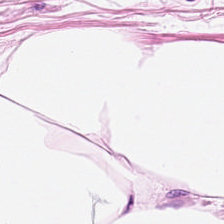H&E. Tissue — adipose tissue.
